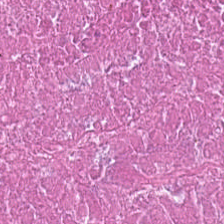H&E-stained tissue section. The classification is debris.
